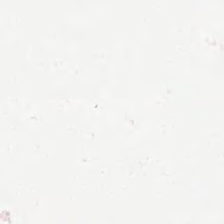H&E stain. Classification = background.
